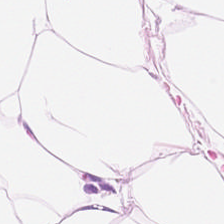This field is adipocytes.
